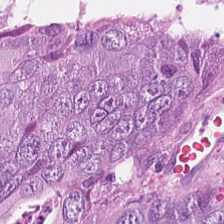H&E-stained tissue section — Tissue class — colorectal adenocarcinoma.
